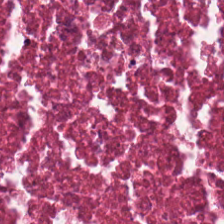FFPE. Hematoxylin-and-eosin stained section. Brightfield microscopy — Tissue: cellular debris.
